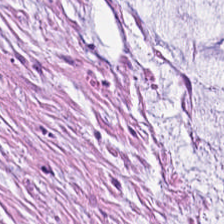Q: What tissue type is shown here?
A: This is extracellular mucin.
